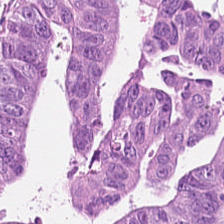Histology — colorectal adenocarcinoma.
